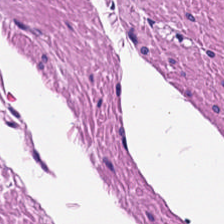H&E.
Muscularis.
